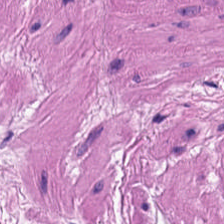Predominant tissue — smooth muscle.
